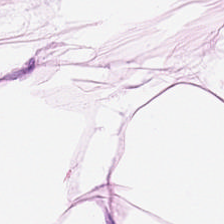Hematoxylin-and-eosin stained section — The predominant tissue is adipocytes.
